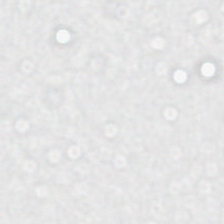20× equivalent magnification. 224×224 px patch. H&E-stained tissue section. This patch shows no tissue.
